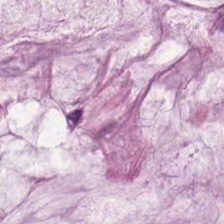Stain: H&E.
Classification: extracellular mucin.
